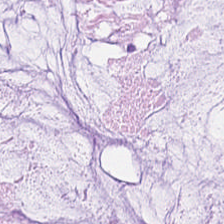Predominantly mucus.
